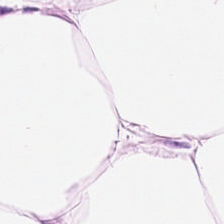Q: Classify this patch.
A: Adipose tissue.
